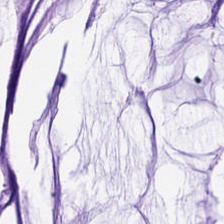H&E; FFPE tissue section — Predominantly mucus.
